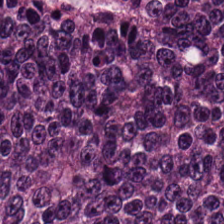H&E. Predominant tissue: adenocarcinoma.
